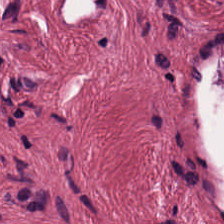Hematoxylin and eosin.
This field is cancer-associated stroma.
